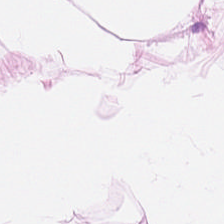0.5 µm per pixel · hematoxylin and eosin — This patch shows adipose tissue.
